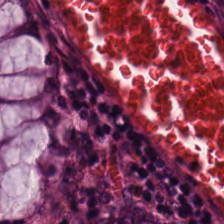224×224 px tile; hematoxylin and eosin. {"tissue_type": "non-neoplastic colon mucosa"}
